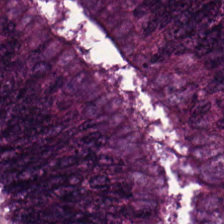Hematoxylin-and-eosin stained section · 224×224 px patch — Tumor epithelium.
